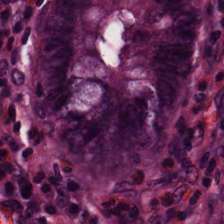Stain: hematoxylin and eosin.
Tile size: 224×224 px tile.
Resolution: 20× equivalent magnification.
Classification: benign colonic mucosa.
